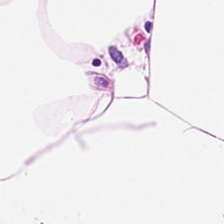H&E; 0.5 microns per pixel.
Adipose tissue.
